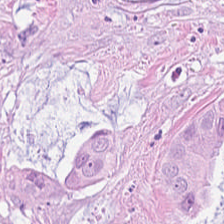Tissue: colorectal adenocarcinoma.
